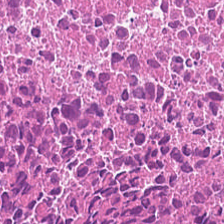H&E-stained tissue section. 0.5 microns per pixel.
The predominant tissue is debris.
